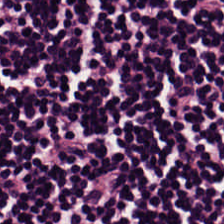Classification — lymphocyte aggregate.
